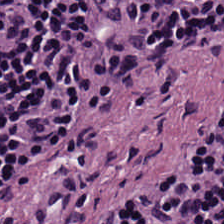Hematoxylin and eosin. The predominant tissue is lymphocytic infiltrate.
